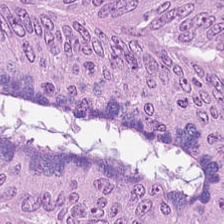The predominant tissue is adenocarcinoma.
